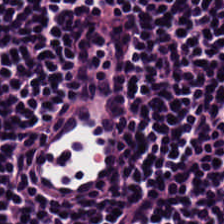H&E — Histology → lymphocyte aggregate.
